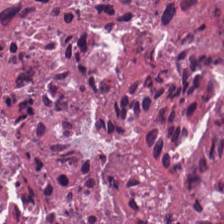Hematoxylin-and-eosin stained section — Q: Identify the tissue.
A: This is cellular debris.
